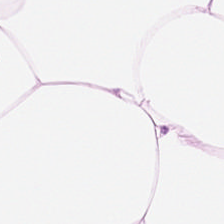Hematoxylin-and-eosin stained section — The predominant tissue is adipocytes.
